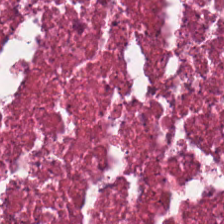H&E stain.
Q: Classify this patch.
A: The field shows cellular debris.
